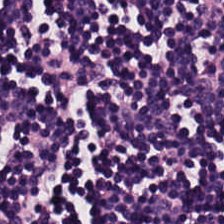Hematoxylin-and-eosin stained section — Predominant tissue = lymphocytes.
